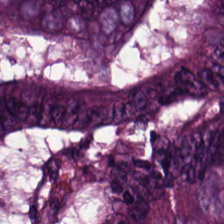Hematoxylin and eosin — Tissue type: adenocarcinoma.
